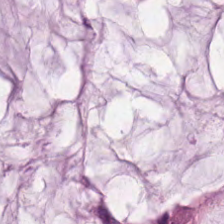H&E-stained tissue section; FFPE — This patch shows extracellular mucin.
